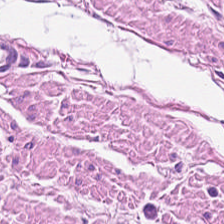WSI patch; formalin-fixed paraffin-embedded section; hematoxylin and eosin — Q: What does this patch show?
A: Smooth muscle.
